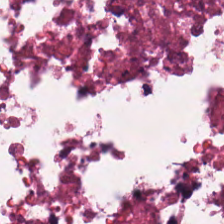H&E stain; 0.5 µm per pixel; brightfield — Showing necrotic debris.
